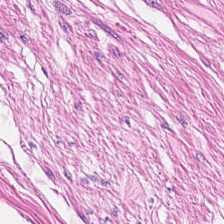H&E.
{"tissue_type": "smooth-muscle tissue"}
